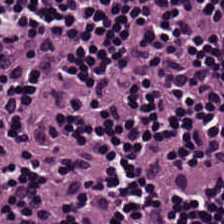Hematoxylin and eosin.
This field is lymphocyte aggregate.
